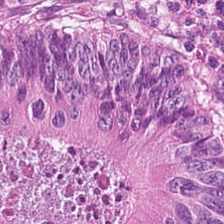H&E-stained tissue section. Q: What tissue is shown?
A: The field shows malignant epithelium.
